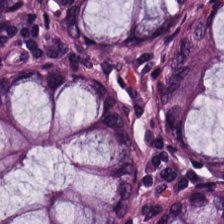Stain: H&E-stained tissue section.
Tissue type: benign colonic mucosa.
